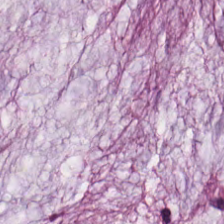Stain: hematoxylin and eosin.
Tissue class: mucin.
